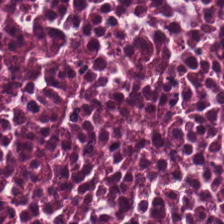Stain: H&E stain.
Tissue: cellular debris.
